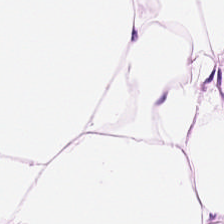H&E stain. 0.5 µm per pixel. Tissue type: fat tissue.
